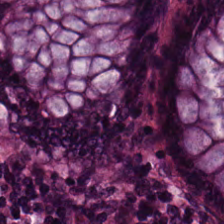Stain: H&E stain.
Resolution: 0.5 µm per pixel.
Tissue class: lymphocyte aggregate.
